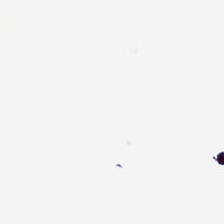H&E-stained tissue section.
{"content": "background (no tissue)"}
